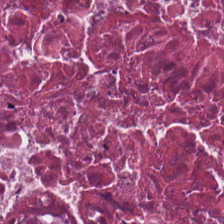Hematoxylin and eosin. 224×224 px tile. Predominant tissue = cellular debris.
